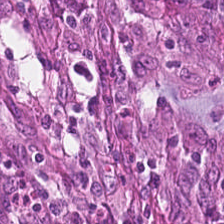WSI patch. H&E stain — Showing tumor epithelium.
